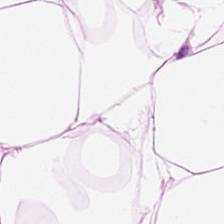FFPE. H&E.
Showing fat tissue.
